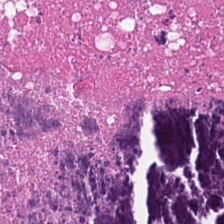Stain: H&E stain.
Tissue class: necrotic debris.
